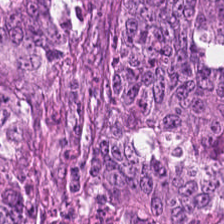H&E stain. Showing tumor epithelium.
